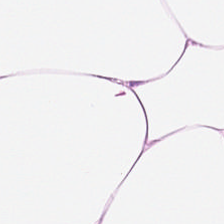Tissue class: adipose tissue.
